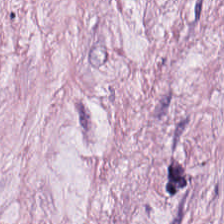H&E-stained tissue section. 224×224 px tile. Predominantly tumor-associated stroma.
